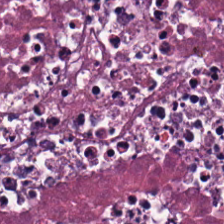Hematoxylin and eosin.
Tissue type: debris.
